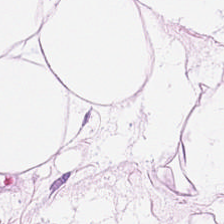Hematoxylin-and-eosin stained section. 20× equivalent magnification. Q: What is shown in this field?
A: It is adipocytes.
